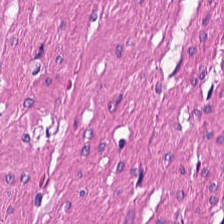H&E — Q: What type of tissue is this?
A: Muscularis.
